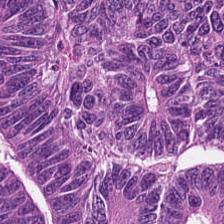H&E-stained tissue section; FFPE tissue section — The classification is adenocarcinoma.
